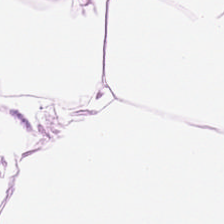Hematoxylin-and-eosin stained section; 0.5 µm per pixel; 224×224 px patch.
Q: What tissue is shown?
A: This is fat tissue.
